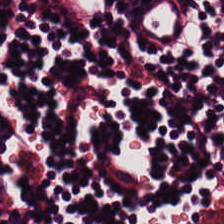Formalin-fixed paraffin-embedded section · H&E.
Lymphocytic infiltrate.
